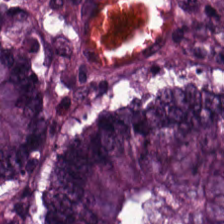Hematoxylin and eosin. 0.5 microns per pixel. This field is adenocarcinoma.
